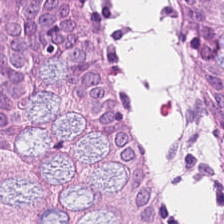224×224 px tile. H&E-stained tissue section. Brightfield microscopy — Finding — non-neoplastic colon mucosa.
